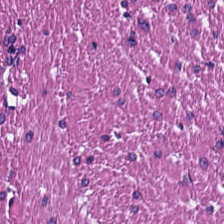H&E stain. 0.5 µm per pixel. Predominantly smooth-muscle tissue.
